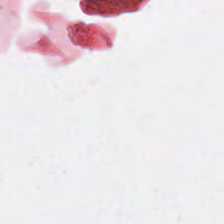H&E stain — This patch shows background.
